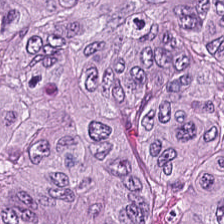Stain: H&E.
Tissue type: malignant epithelium.
